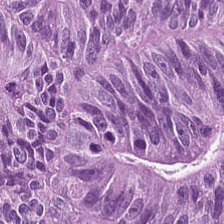20× equivalent magnification · hematoxylin-and-eosin stained section.
Tissue type: colorectal adenocarcinoma.
